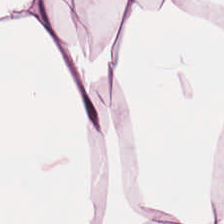Hematoxylin-and-eosin stained section — Tissue type — adipose tissue.
